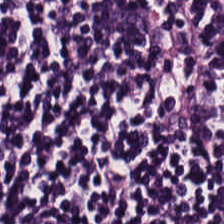H&E stain. This patch shows lymphocytic infiltrate.
